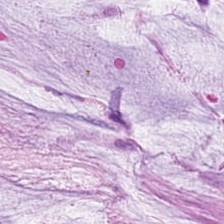Showing mucin.
